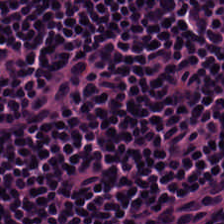H&E; whole-slide-image patch.
Q: What is shown here?
A: The field shows lymphocytic infiltrate.
